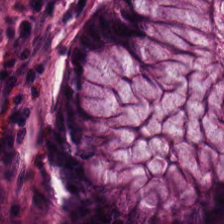H&E-stained tissue section; 0.5 microns per pixel.
This field is benign colonic mucosa.
